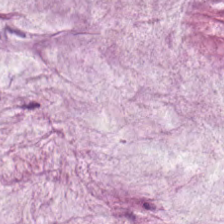Q: What tissue type is shown here?
A: Extracellular mucin.
